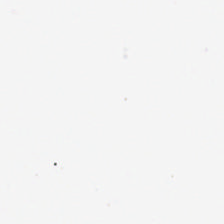H&E · WSI patch — Background — no tissue in this field.
